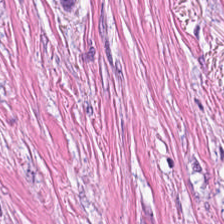H&E. Impression → tumor-associated stroma.
